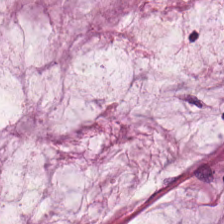Tissue class = extracellular mucin.
